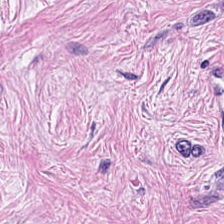Hematoxylin-and-eosin stained section. FFPE.
The tissue here is desmoplastic stroma.
